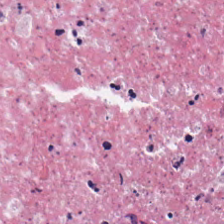Stain: hematoxylin-and-eosin stained section.
Classification: cellular debris.
